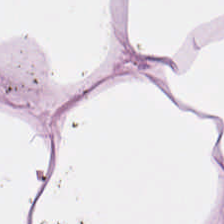Hematoxylin-and-eosin stained section — Q: What does this patch show?
A: Fat tissue.
